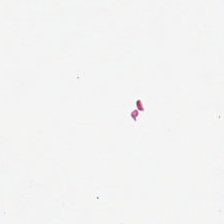Background — no tissue in this field.
